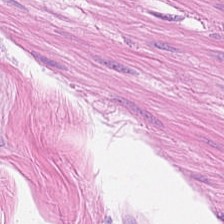H&E stain.
Q: What is the predominant tissue type?
A: This is smooth muscle.
